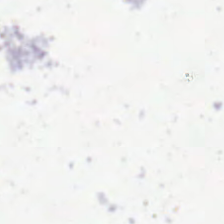Hematoxylin and eosin · whole-slide-image patch — No tissue present; background only.
